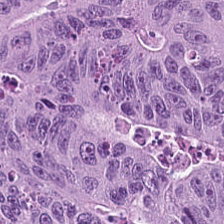The tissue is colorectal adenocarcinoma.
